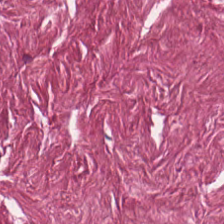Cancer-associated stroma.
